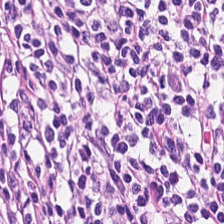Hematoxylin-and-eosin stained section.
Tissue class: lymphoid infiltrate.
